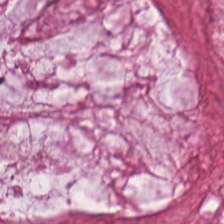Hematoxylin and eosin.
The tissue here is mucus.
